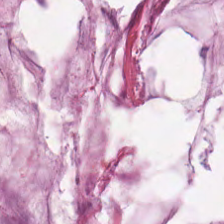Hematoxylin and eosin. FFPE — Histology — extracellular mucin.
